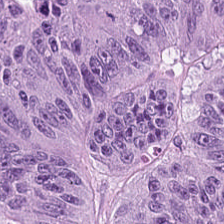H&E-stained tissue section.
Impression — malignant epithelium.
